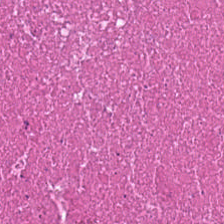Showing debris.
